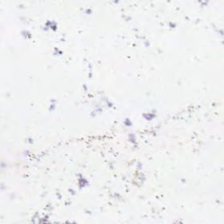H&E-stained tissue section. Q: What does this patch show?
A: Empty background.
